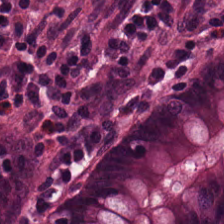Histology → benign colonic mucosa.
